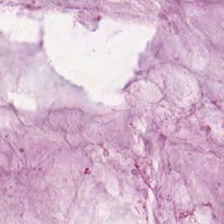H&E patch showing mucus.
